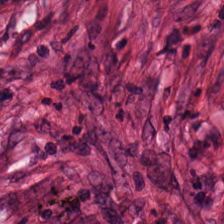Brightfield · hematoxylin-and-eosin stained section.
The tissue here is tumor-associated stroma.
